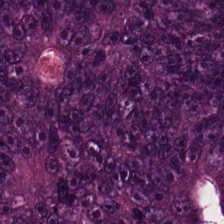H&E · 224×224 pixel tile · FFPE tissue section. Q: Identify the tissue.
A: This is malignant epithelium.
